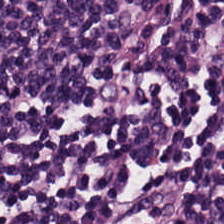Q: What tissue type is shown here?
A: Lymphocytic infiltrate.
